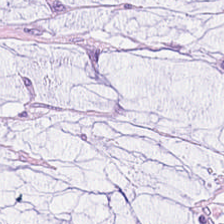0.5 µm per pixel · H&E stain. Q: What does this patch show?
A: Mucin.
